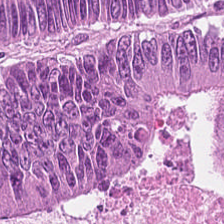H&E · 224×224 px tile. Tissue class — colorectal adenocarcinoma.
